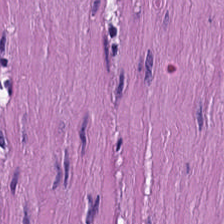Predominant tissue — smooth-muscle tissue.
